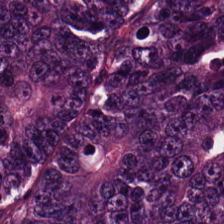H&E-stained tissue section showing malignant epithelium.
